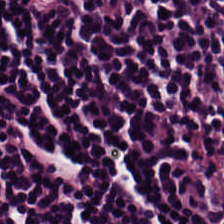Q: What is shown in this field?
A: This is lymphocytes.
